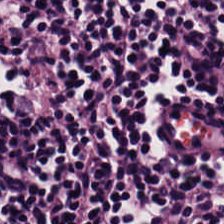Tissue = lymphoid infiltrate.
